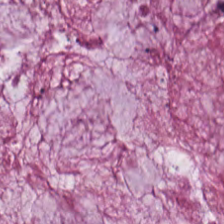Hematoxylin-and-eosin stained section.
Q: What is shown in this field?
A: Mucin.
